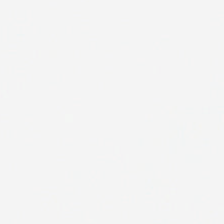Stain: hematoxylin and eosin.
Tile size: 224×224 px patch.
Acquisition: brightfield microscopy.
Classification: empty background.
